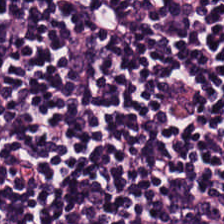Brightfield. H&E-stained tissue section.
Lymphocytic infiltrate.
